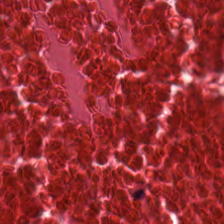H&E-stained tissue section.
Q: What is shown in this field?
A: This is debris.
